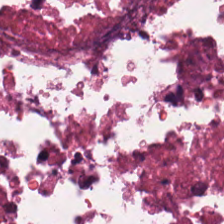FFPE tissue section. 0.5 µm per pixel. Hematoxylin-and-eosin stained section.
This patch shows cellular debris.
